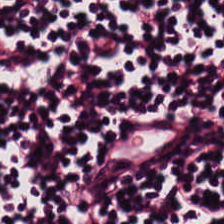The tissue here is lymphocyte aggregate.
